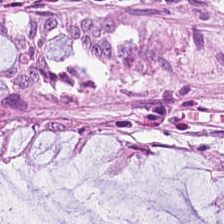Hematoxylin-and-eosin section: benign colonic mucosa.
